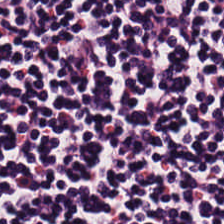H&E — Histology — lymphocytes.
